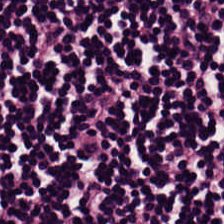Stain: H&E.
Tissue class: lymphoid infiltrate.
